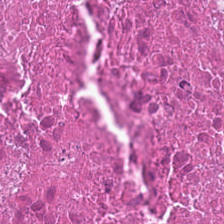Brightfield; hematoxylin and eosin. Tissue type = necrotic debris.
